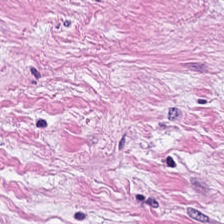Hematoxylin-and-eosin stained section. Predominantly cancer-associated stroma.
